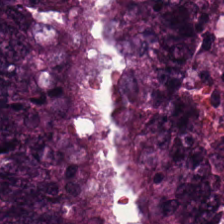H&E-stained section; the field shows tumor epithelium.
